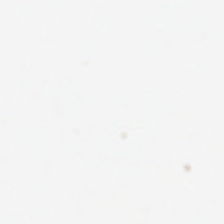Stain: H&E-stained tissue section.
Classification: empty background.
